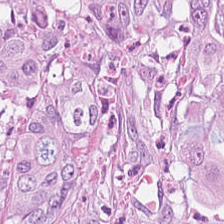H&E stain.
{"tissue_type": "tumor epithelium"}
